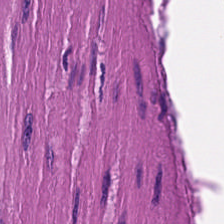H&E · 224×224 px patch · FFPE tissue section.
The predominant tissue is muscularis.
